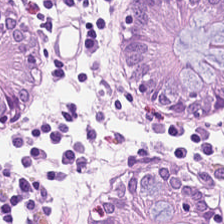{"tissue_type": "normal colonic mucosa"}
